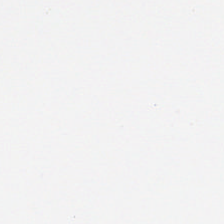Hematoxylin-and-eosin stained section · FFPE tissue section — Background — no tissue in this field.
